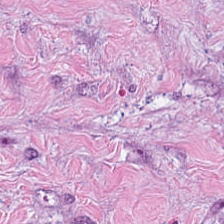H&E-stained tissue section showing tumor stroma.
